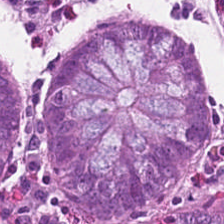FFPE tissue section; H&E stain. Impression → normal colonic mucosa.
